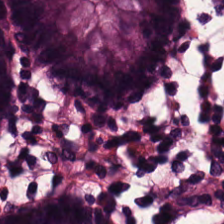0.5 µm/px · hematoxylin-and-eosin stained section.
Predominantly benign colonic mucosa.
